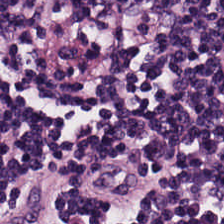Stain: H&E.
Acquisition: WSI patch.
Classification: lymphoid infiltrate.
